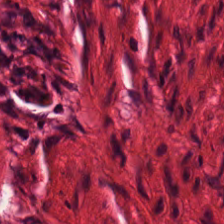Hematoxylin and eosin.
The tissue class is muscularis.
